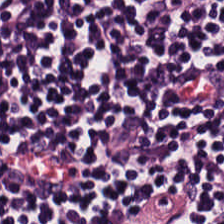H&E stain.
Tissue type — lymphocyte aggregate.
